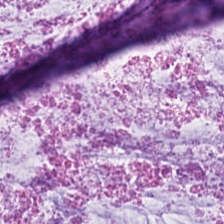FFPE tissue section. Brightfield microscopy. H&E — The predominant tissue is mucin.
